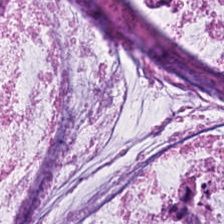Hematoxylin-and-eosin stained section — Mucus.
